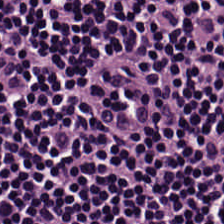Lymphocytes.
